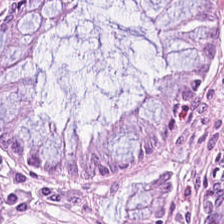Whole-slide-image patch. H&E.
The predominant tissue is normal colon mucosa.
